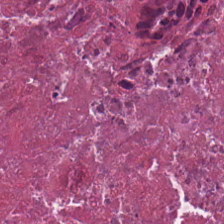Hematoxylin-and-eosin stained section · 224×224 px tile · brightfield. This patch shows necrotic debris.
